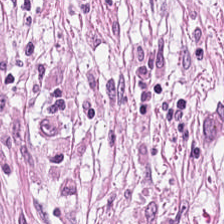H&E stain — The predominant tissue is tumor-associated stroma.
